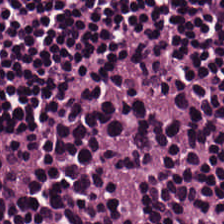Tissue: lymphoid infiltrate.
